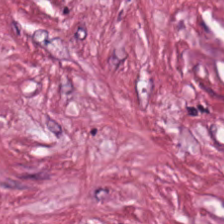H&E-stained tissue section.
Predominant tissue = tumor stroma.
